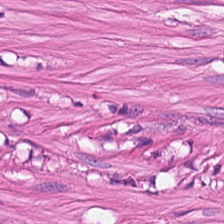H&E.
Q: Classify this patch.
A: This is muscularis.
